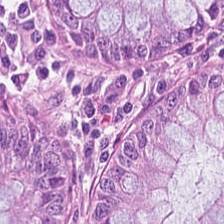Stain: H&E-stained tissue section.
Predominant tissue: normal colon mucosa.
